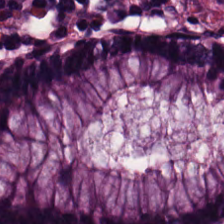Brightfield. H&E-stained tissue section. 0.5 microns per pixel. Impression — non-neoplastic colon mucosa.
